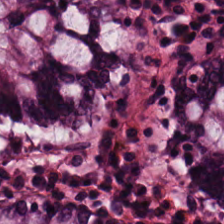Hematoxylin-and-eosin stained section — Q: What type of tissue is this?
A: It is non-neoplastic colon mucosa.
